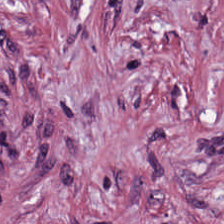H&E stain. 224×224 px patch — Tissue type — tumor stroma.
